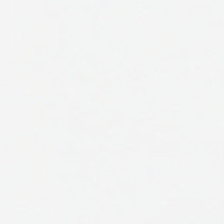224×224 pixel tile; formalin-fixed paraffin-embedded section; H&E-stained tissue section.
This patch shows no tissue.
